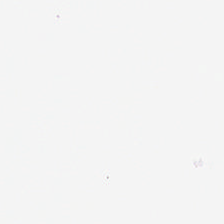Hematoxylin and eosin. Q: What does this patch show?
A: This is no tissue.
